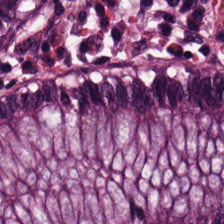H&E · FFPE · 0.5 microns per pixel. The predominant tissue is non-neoplastic colon mucosa.
